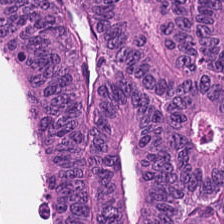Stain: H&E stain.
Tile size: 224×224 px tile.
Tissue: tumor epithelium.
